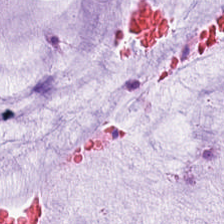Hematoxylin and eosin. Impression → mucin.
